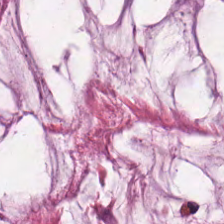0.5 µm/px; H&E-stained tissue section; FFPE tissue section. Classification: mucin.
